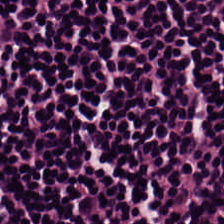H&E-stained tissue section.
Q: What is shown here?
A: The field shows lymphocyte aggregate.
